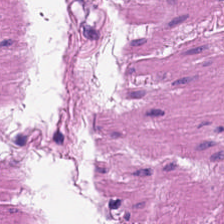H&E stain.
Q: What is the predominant tissue type?
A: The field shows muscularis.
